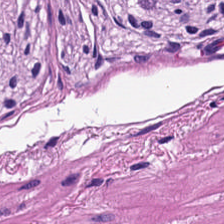H&E-stained tissue section — Finding → smooth muscle.
